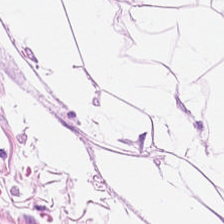Predominant tissue — adipose.
